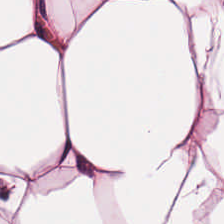H&E-stained tissue section · 0.5 microns per pixel. Tissue class: adipose tissue.
